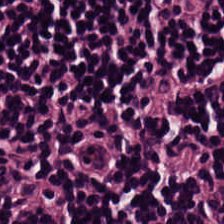Hematoxylin-and-eosin stained section. Formalin-fixed paraffin-embedded section. Q: What is shown in this field?
A: The field shows lymphoid infiltrate.
